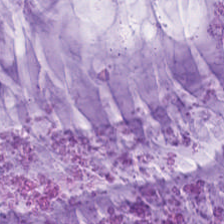H&E-stained tissue section; FFPE tissue section; 224×224 pixel tile. This patch shows mucus.
